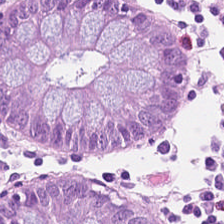H&E. Histology — normal colonic mucosa.
